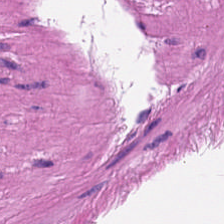The tissue here is muscularis.
